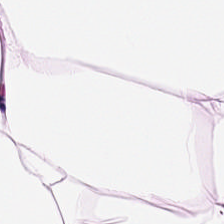Brightfield. 20× equivalent magnification. H&E-stained tissue section — Fat tissue.
